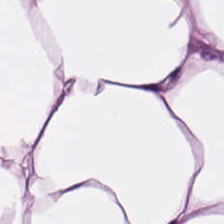H&E stain.
Q: What does this patch show?
A: This is adipose.
